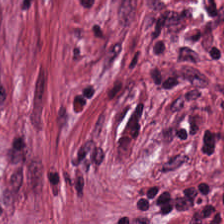Predominant tissue: cancer-associated stroma.
